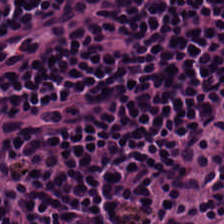224×224 pixel tile · H&E-stained tissue section.
Tissue = lymphocytes.
